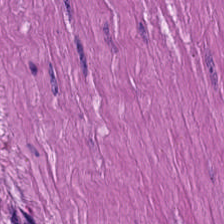{"tissue_type": "smooth muscle"}
